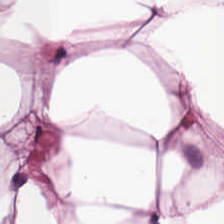H&E stain. Brightfield microscopy — The tissue here is adipocytes.
